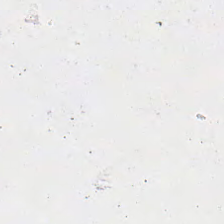H&E stain.
Content: background.
